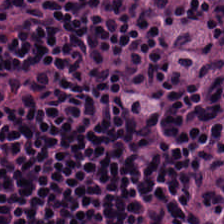Hematoxylin-and-eosin stained section — Histology → lymphocyte aggregate.
